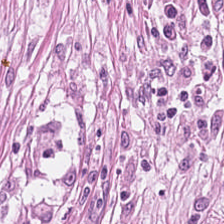Formalin-fixed paraffin-embedded section. Hematoxylin-and-eosin stained section.
The tissue is cancer-associated stroma.
